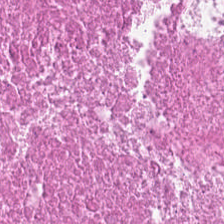20× equivalent magnification. 224×224 px tile. Hematoxylin-and-eosin stained section. Q: What tissue type is shown here?
A: It is necrotic debris.
